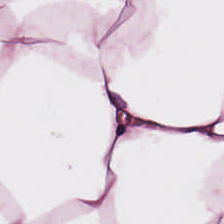H&E-stained tissue section · 20× equivalent magnification. Adipose tissue.
